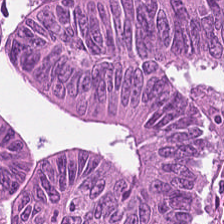20× equivalent magnification · H&E stain · 224×224 pixel tile — Q: What is shown in this field?
A: This is colorectal adenocarcinoma.
